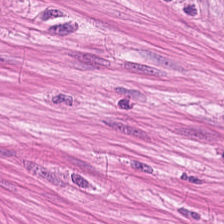FFPE tissue section · H&E.
This field is smooth muscle.
